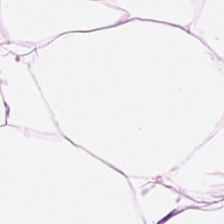FFPE; H&E stain.
Q: What is shown here?
A: Adipose.
